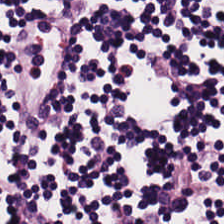H&E. Tissue class: lymphocyte aggregate.
